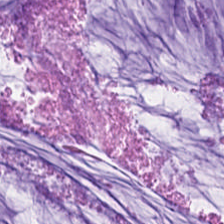H&E-stained tissue section · 20× equivalent magnification.
Showing mucus.
